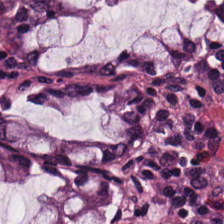Stain: hematoxylin and eosin.
Classification: benign colonic mucosa.
